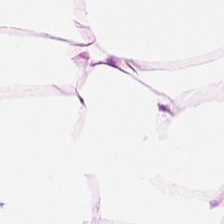H&E.
Showing adipose tissue.
